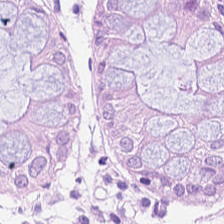Hematoxylin-and-eosin stained section.
The classification is non-neoplastic colon mucosa.
